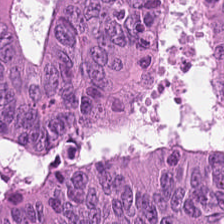Stain: hematoxylin-and-eosin stained section.
Preparation: FFPE.
Resolution: 0.5 µm/px.
Predominant tissue: malignant epithelium.
